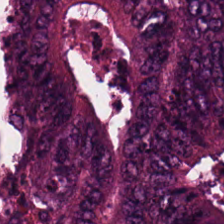FFPE · hematoxylin-and-eosin stained section · 224×224 px patch. {"tissue_type": "tumor epithelium"}
